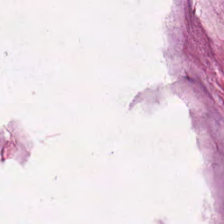Stain: H&E.
Classification: extracellular mucin.
